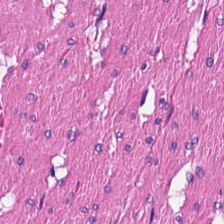0.5 microns per pixel · H&E. Tissue class — smooth muscle.
